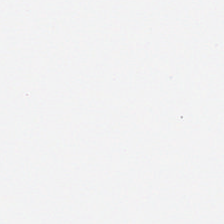0.5 microns per pixel · H&E-stained tissue section.
Background.
